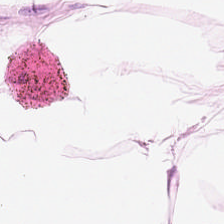H&E stain.
Q: What does this patch show?
A: The field shows fat tissue.
